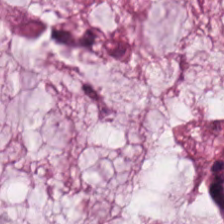Whole-slide-image patch · hematoxylin and eosin.
Predominant tissue — mucin.
